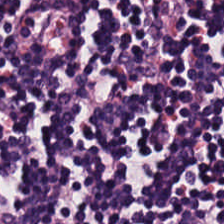H&E stain — This patch shows lymphocytic infiltrate.
